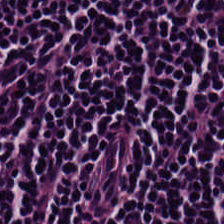Hematoxylin-and-eosin stained section — Classification — lymphoid infiltrate.
